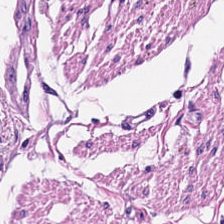Brightfield · FFPE tissue section · H&E. Tissue type = smooth-muscle tissue.
